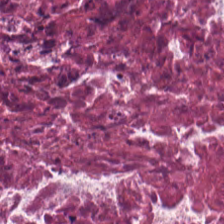H&E stain. WSI patch. 224×224 px tile — The tissue here is cellular debris.
